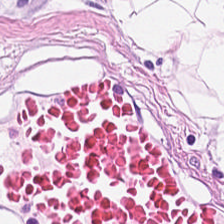Stain: hematoxylin and eosin.
Tissue class: adipocytes.
